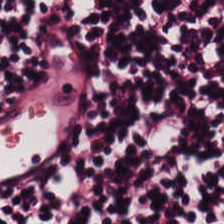FFPE · H&E stain. {"tissue_type": "lymphocytic infiltrate"}
